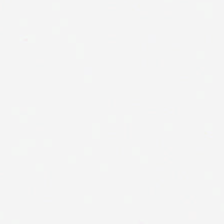FFPE tissue section; H&E stain. Empty field — background.
